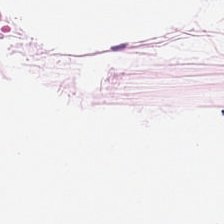Finding — adipocytes.
